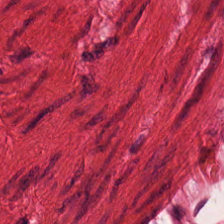H&E stain — This field is smooth-muscle tissue.
